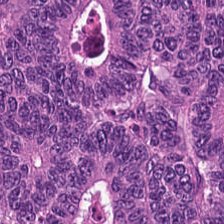H&E stain.
Impression → colorectal adenocarcinoma.
